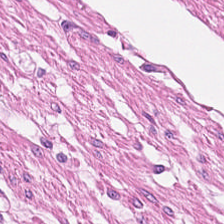H&E stain. Finding → smooth muscle.
